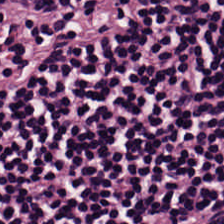Whole-slide-image patch. Hematoxylin and eosin. The predominant tissue is lymphocytes.
